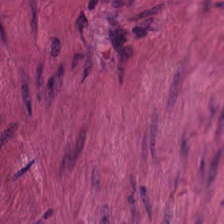H&E stain.
Smooth-muscle tissue.
